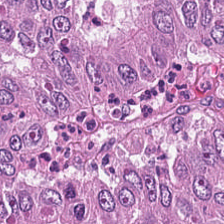H&E — Q: What is shown in this field?
A: This is colorectal adenocarcinoma.
